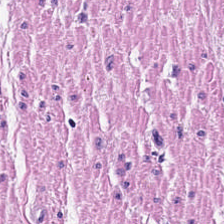FFPE tissue section; brightfield microscopy; H&E-stained tissue section. This patch shows smooth-muscle tissue.
